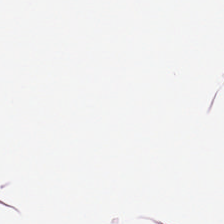Q: What tissue is shown?
A: Adipose.
